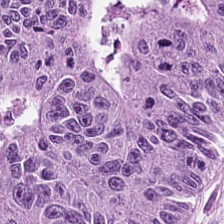H&E-stained tissue section.
Q: What is the predominant tissue type?
A: Colorectal adenocarcinoma epithelium.
